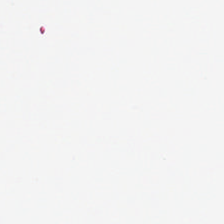FFPE tissue section · H&E. Field content — background (no tissue).
